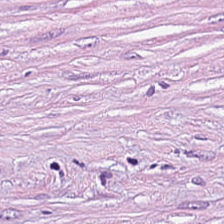Stain: hematoxylin and eosin.
Tile size: 224×224 pixel tile.
Tissue type: tumor stroma.
